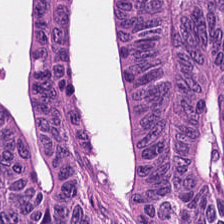Stain: H&E-stained tissue section.
Tissue: colorectal adenocarcinoma.
